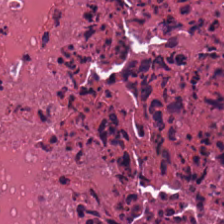H&E stain. Debris.
